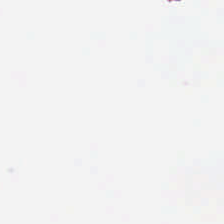Hematoxylin-and-eosin stained section · FFPE. Content: background (no tissue).
